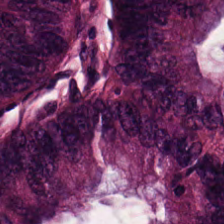Tissue: malignant epithelium.
